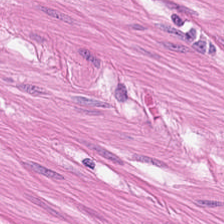Stain: hematoxylin-and-eosin stained section.
Predominant tissue: smooth-muscle tissue.
